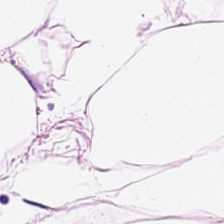H&E stain; formalin-fixed paraffin-embedded section — Finding — fat tissue.
